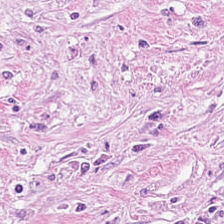H&E-stained tissue section. 0.5 µm per pixel.
Predominantly tumor-associated stroma.
